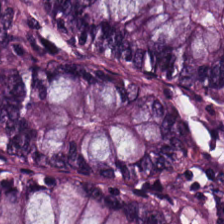Stain: hematoxylin and eosin.
Acquisition: brightfield.
Tissue type: benign colonic mucosa.
